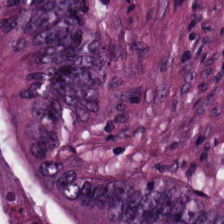Classification: adenocarcinoma.
